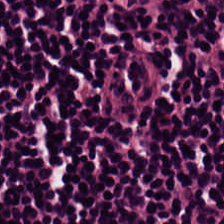H&E stain. Tissue = lymphoid infiltrate.
